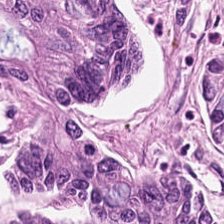The predominant tissue is adenocarcinoma.
